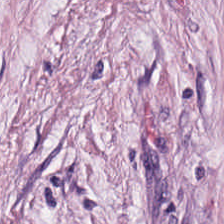Stain: hematoxylin-and-eosin stained section.
Tile size: 224×224 px tile.
Tissue class: tumor stroma.
